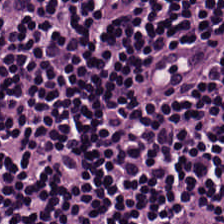Hematoxylin-and-eosin stained section — This patch shows lymphocytic infiltrate.
